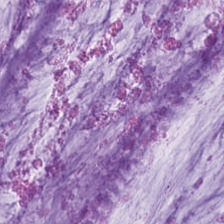Classification — mucus.
